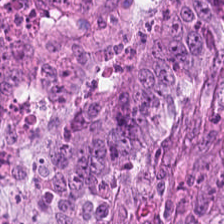FFPE tissue section · 0.5 microns per pixel · H&E. Q: What type of tissue is this?
A: The field shows tumor epithelium.
